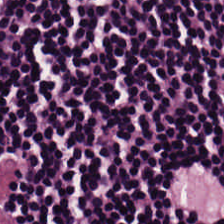H&E stain · WSI patch · FFPE tissue section — This field is lymphocytic infiltrate.
